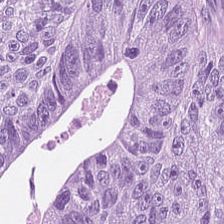Stain: hematoxylin and eosin.
Tile size: 224×224 px patch.
Predominant tissue: tumor epithelium.
